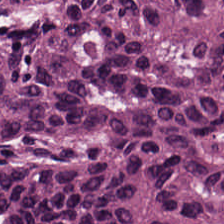Hematoxylin-and-eosin stained section — Histology → colorectal adenocarcinoma epithelium.
